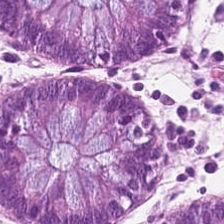Stain: H&E.
Tissue type: normal colonic mucosa.
